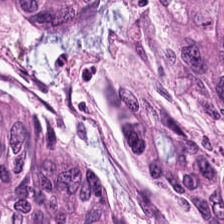Hematoxylin-and-eosin stained section; 224×224 px tile; brightfield — Tissue type = tumor epithelium.
